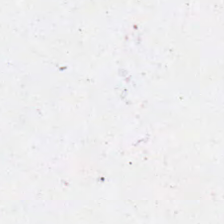H&E-stained tissue section.
Q: What does this patch show?
A: This is empty background.
